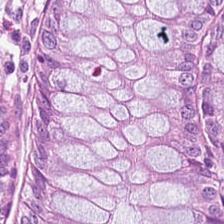H&E stain.
This field is benign colonic mucosa.
